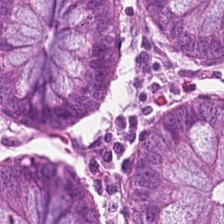Stain: H&E.
Classification: non-neoplastic colon mucosa.
